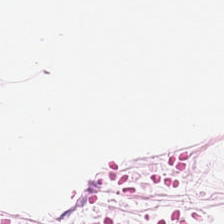Hematoxylin and eosin. The predominant tissue is adipocytes.
